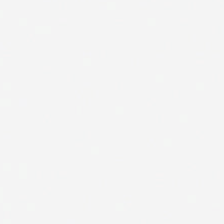Hematoxylin and eosin. Brightfield. Background (no tissue).
